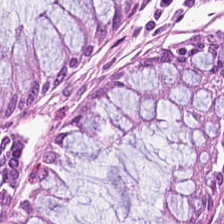Hematoxylin and eosin.
Q: What is shown here?
A: The field shows normal colon mucosa.
